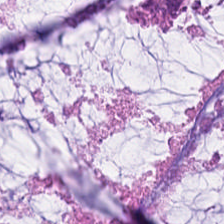H&E stain. Predominantly extracellular mucin.
